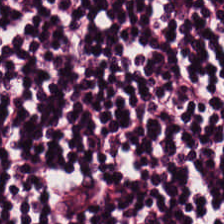Hematoxylin-and-eosin stained section. WSI patch. 224×224 px tile.
This field is lymphoid infiltrate.
